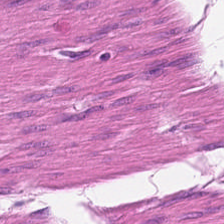WSI patch; H&E-stained tissue section — Q: What is shown in this field?
A: It is smooth-muscle tissue.
